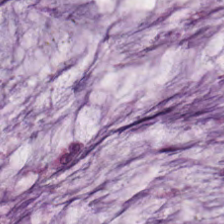Predominant tissue = mucus.
